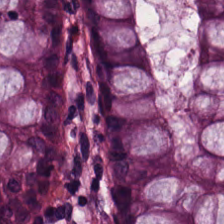WSI patch. H&E stain. FFPE tissue section.
Q: Classify this patch.
A: The field shows normal colon mucosa.
